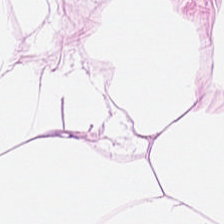H&E — The tissue type is adipose.
